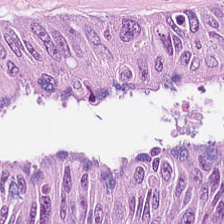Stain: H&E-stained tissue section.
Tissue class: adenocarcinoma.
